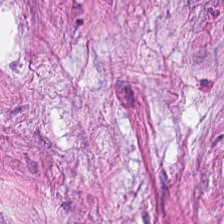H&E stain.
Tissue class = cancer-associated stroma.
